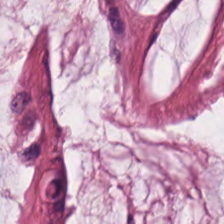Hematoxylin and eosin · 224×224 px tile.
This field is extracellular mucin.
